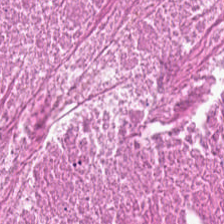Stain: H&E stain.
Predominant tissue: cellular debris.
